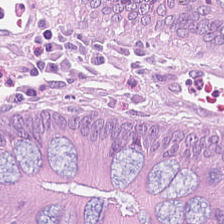Q: Identify the tissue.
A: This is non-neoplastic colon mucosa.
